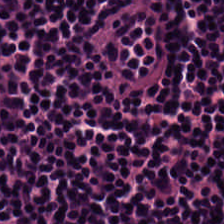H&E-stained tissue section · 224×224 pixel tile. {"tissue_type": "lymphocyte aggregate"}
